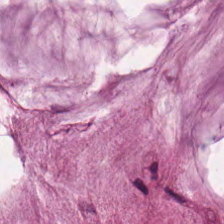Hematoxylin-and-eosin stained section — Classification — mucus.
